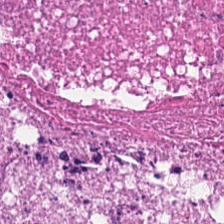Brightfield microscopy. Formalin-fixed paraffin-embedded section. H&E.
Debris.
